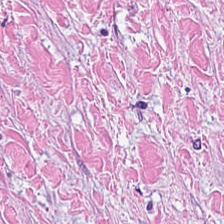H&E.
Q: What tissue is shown?
A: The field shows tumor stroma.
